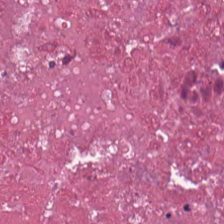H&E-stained section; the field shows debris.
